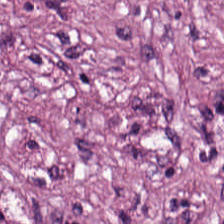224×224 px patch. 0.5 µm/px. H&E — The tissue type is tumor stroma.
